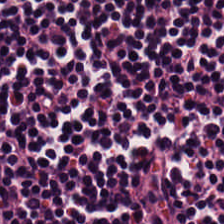224×224 pixel tile. WSI patch. Hematoxylin and eosin. The tissue here is lymphocyte aggregate.
